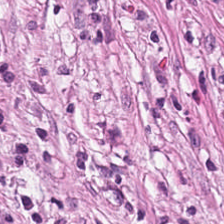H&E patch showing tumor-associated stroma.
